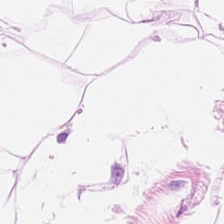0.5 µm per pixel · hematoxylin and eosin — The tissue here is adipocytes.
